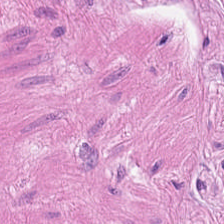H&E-stained section; the field shows smooth-muscle tissue.
